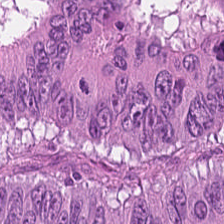Finding → malignant epithelium.
